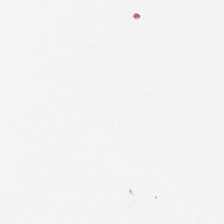Q: What is shown here?
A: Background (no tissue).
